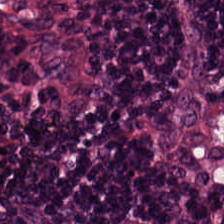The predominant tissue is lymphocyte aggregate.
